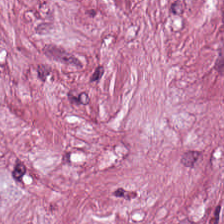Stain: hematoxylin and eosin.
Classification: tumor-associated stroma.
